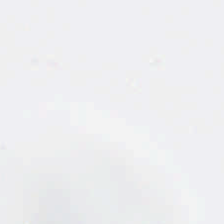Whole-slide-image patch · H&E stain.
Empty field — no tissue.
